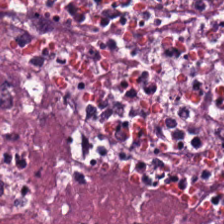H&E — {"tissue_type": "necrotic debris"}
